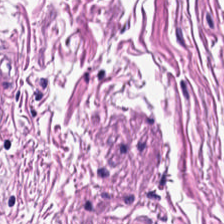H&E-stained tissue section. The classification is muscularis.
